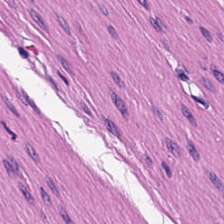Impression — smooth muscle.
